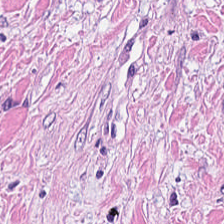Hematoxylin-and-eosin stained section; FFPE tissue section; whole-slide-image patch — The tissue is tumor-associated stroma.
